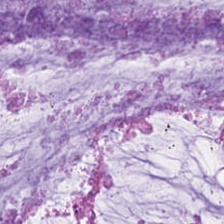Mucus.
